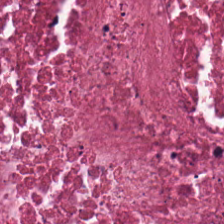Hematoxylin-and-eosin stained section — Predominant tissue — cellular debris.
